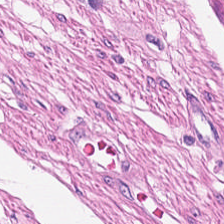Stain: hematoxylin-and-eosin stained section.
Tile size: 224×224 pixel tile.
Tissue: smooth muscle.
